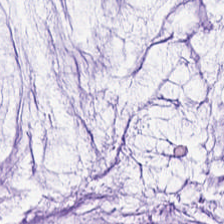Predominantly mucus.
